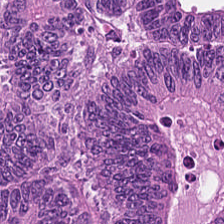H&E-stained tissue section · 224×224 pixel tile · FFPE.
This field is adenocarcinoma.
